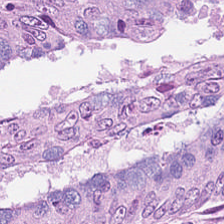H&E-stained tissue section showing tumor epithelium.
